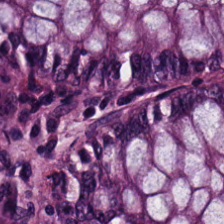Hematoxylin-and-eosin stained section · formalin-fixed paraffin-embedded section. Predominantly benign colonic mucosa.
